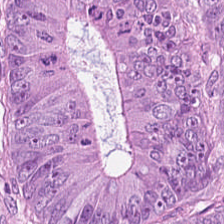This patch shows adenocarcinoma.
